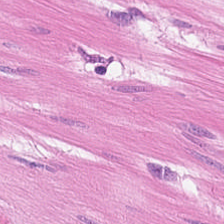Formalin-fixed paraffin-embedded section; WSI patch; hematoxylin-and-eosin stained section.
{"tissue_type": "smooth muscle"}
